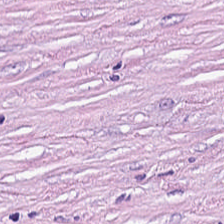Brightfield microscopy · H&E-stained tissue section. Tissue class — desmoplastic stroma.
